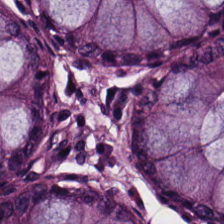0.5 microns per pixel. H&E.
This patch shows normal colonic mucosa.
